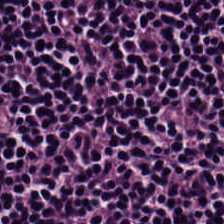H&E-stained tissue section — Histology → lymphoid infiltrate.
